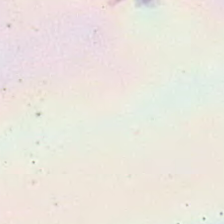Q: What does this patch show?
A: This is no tissue.
